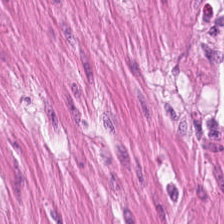Classification — muscularis.
